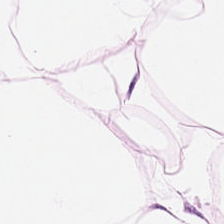H&E — Classification — adipose tissue.
